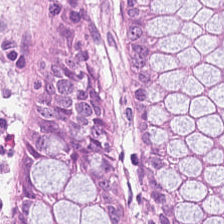20× equivalent magnification · H&E stain.
The tissue class is benign colonic mucosa.
